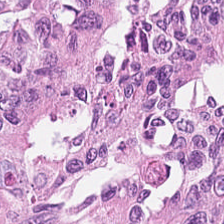Showing malignant epithelium.
